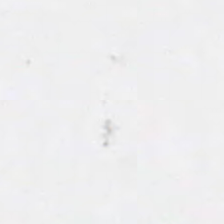H&E stain.
Q: What is shown in this field?
A: Empty background.
